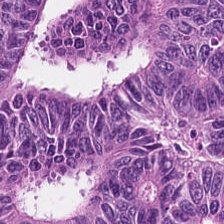0.5 µm/px; H&E-stained tissue section; whole-slide-image patch — Q: What tissue is shown?
A: It is colorectal adenocarcinoma epithelium.
